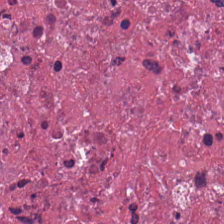H&E-stained tissue section — Histology → necrotic debris.
